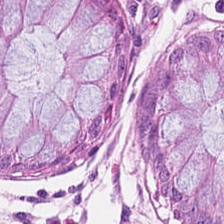H&E stain; 0.5 µm per pixel; 224×224 px tile — {"tissue_type": "normal colon mucosa"}
